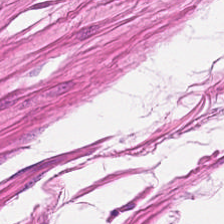Stain: hematoxylin and eosin.
Predominant tissue: smooth muscle.
